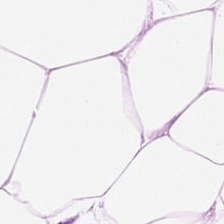{"tissue_type": "adipose tissue"}
